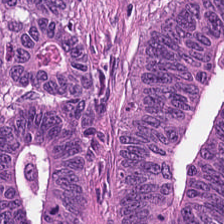H&E stain. Q: What is shown here?
A: This is tumor epithelium.
